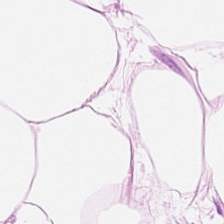H&E-stained tissue section · 0.5 microns per pixel. Predominantly adipose.
